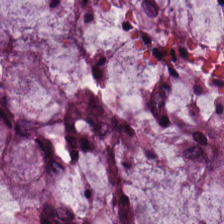Stain: H&E stain.
Resolution: 0.5 microns per pixel.
Preparation: FFPE tissue section.
Classification: benign colonic mucosa.
